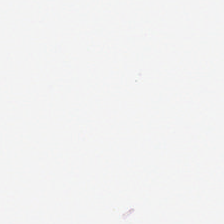H&E-stained tissue section — Finding → empty background.
